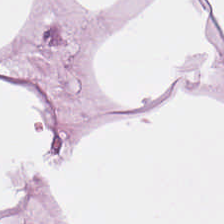FFPE. Hematoxylin-and-eosin stained section.
Tissue type = adipocytes.
